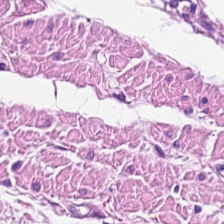224×224 pixel tile; H&E-stained tissue section. Q: Classify this patch.
A: Muscularis.
